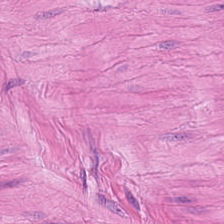0.5 microns per pixel; H&E. This patch shows muscularis.
